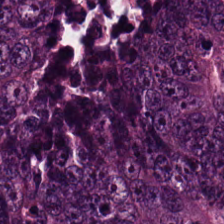H&E — The predominant tissue is tumor epithelium.
